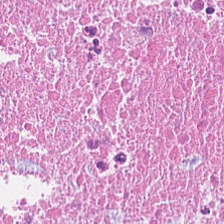Hematoxylin and eosin; brightfield microscopy. The predominant tissue is debris.
